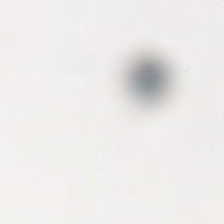0.5 µm/px. H&E stain.
Finding → empty background.
